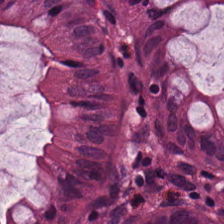Hematoxylin and eosin. Q: What is shown in this field?
A: The field shows normal colonic mucosa.
